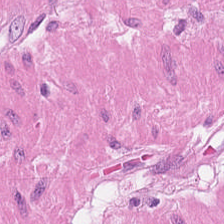Hematoxylin-and-eosin stained section — This field is smooth-muscle tissue.
